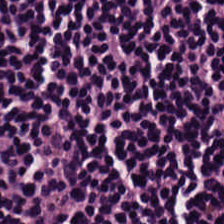Hematoxylin-and-eosin stained section. {"tissue_type": "lymphocytes"}
